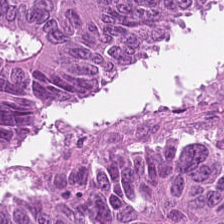{"tissue_type": "tumor epithelium"}
